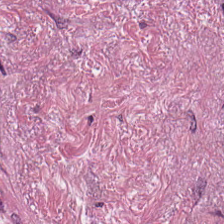Hematoxylin and eosin — Q: What is shown here?
A: It is tumor stroma.
